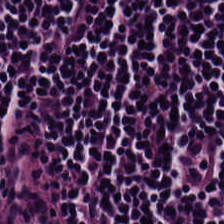FFPE; hematoxylin-and-eosin stained section; 0.5 µm per pixel — Classification — lymphocytes.
